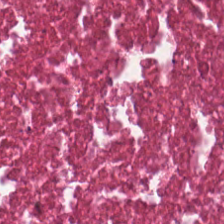Hematoxylin and eosin. Q: What is shown in this field?
A: It is necrotic debris.
